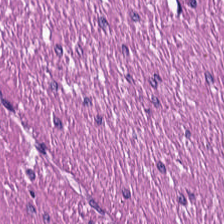Stain: H&E stain.
Resolution: 0.5 µm/px.
Classification: smooth muscle.
